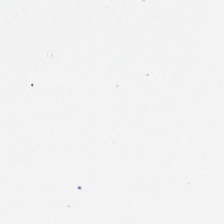0.5 µm per pixel. H&E stain.
Content — empty background.
